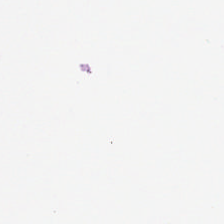Q: What does this patch show?
A: This is background.
